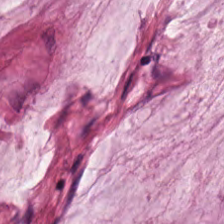Hematoxylin-and-eosin stained section. Histology → extracellular mucin.
